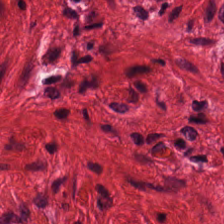0.5 µm/px. 224×224 pixel tile. Hematoxylin-and-eosin stained section — Tissue = muscularis.
